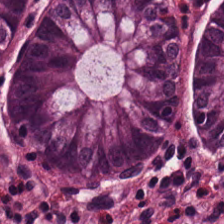H&E.
Tissue class — normal colonic mucosa.
